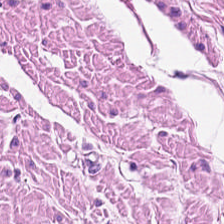The tissue here is smooth muscle.
